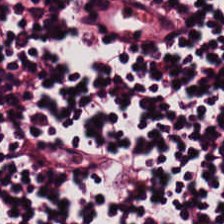Brightfield microscopy; hematoxylin-and-eosin stained section. This patch shows lymphocyte aggregate.
